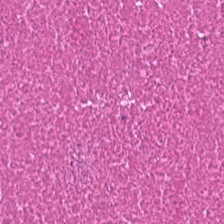Hematoxylin-and-eosin stained section · WSI patch — The tissue here is debris.
